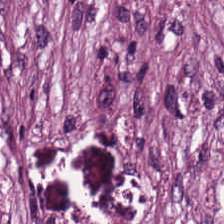H&E stain. 20× equivalent magnification — Predominantly desmoplastic stroma.
